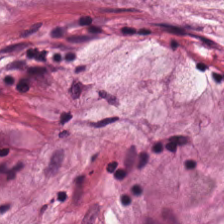Histology → mucin.
